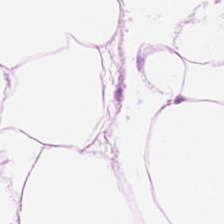Hematoxylin-and-eosin stained section.
Showing fat tissue.
